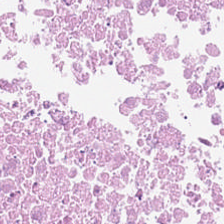Hematoxylin-and-eosin stained section — Tissue type = necrotic debris.
